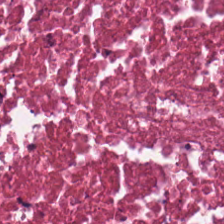FFPE. Hematoxylin-and-eosin stained section.
Predominantly necrotic debris.
